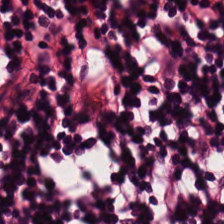Q: What tissue is shown?
A: The field shows lymphocytes.
